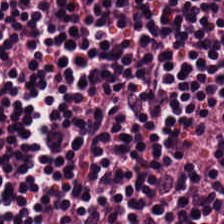Stain: hematoxylin-and-eosin stained section.
Tissue type: lymphoid infiltrate.
